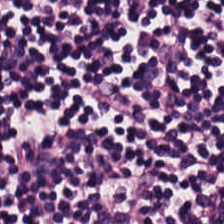0.5 µm per pixel · hematoxylin-and-eosin stained section · WSI patch.
Impression → lymphoid infiltrate.
